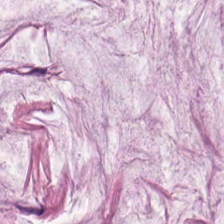H&E.
Q: What is shown in this field?
A: It is mucin.
